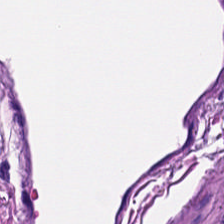Hematoxylin and eosin. Impression → smooth-muscle tissue.
